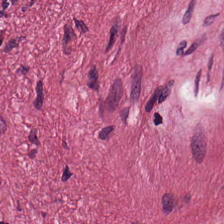Hematoxylin-and-eosin stained section; 0.5 µm/px. Tissue class — tumor stroma.
